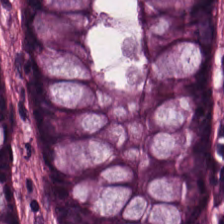Formalin-fixed paraffin-embedded section. Hematoxylin and eosin — Q: Identify the tissue.
A: This is normal colonic mucosa.
